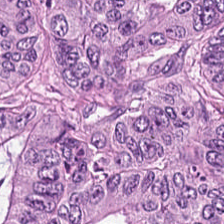H&E. Tissue — malignant epithelium.
